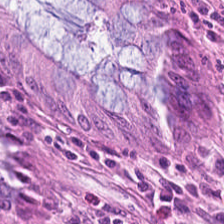H&E-stained section; the field shows benign colonic mucosa.
